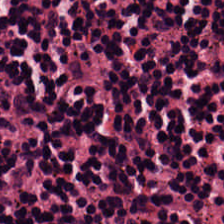H&E-stained tissue section showing lymphoid infiltrate.
